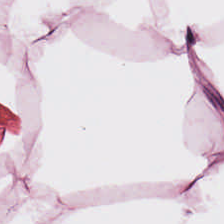Tissue = adipose tissue.
